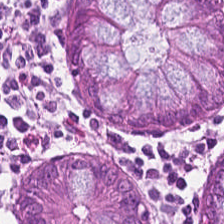H&E — Histology — non-neoplastic colon mucosa.
